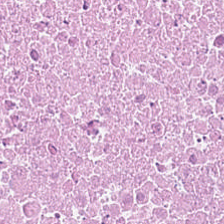Brightfield microscopy · hematoxylin and eosin. The tissue class is debris.
